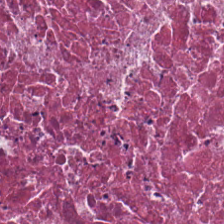Q: Identify the tissue.
A: It is debris.
